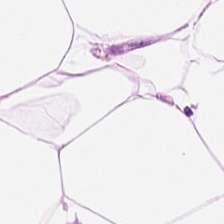Hematoxylin and eosin · FFPE · 224×224 pixel tile — Tissue type — fat tissue.
